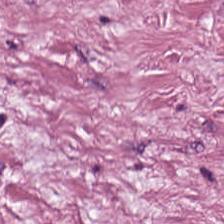Tissue = desmoplastic stroma.
